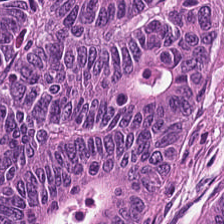H&E — Tissue class = tumor epithelium.
